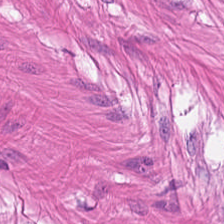H&E. Q: What is the predominant tissue type?
A: Smooth muscle.
